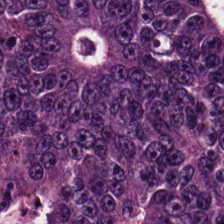Brightfield microscopy. Hematoxylin and eosin.
Q: What is shown in this field?
A: It is tumor epithelium.
